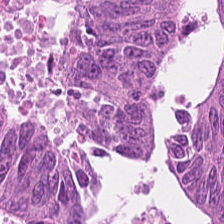The classification is colorectal adenocarcinoma epithelium.
